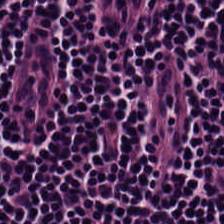FFPE tissue section · hematoxylin-and-eosin stained section · 0.5 µm/px. The tissue here is lymphocytes.
